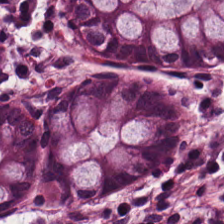WSI patch. H&E.
Q: What is the predominant tissue type?
A: It is benign colonic mucosa.
